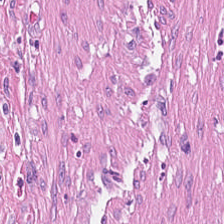Q: What is the predominant tissue type?
A: It is desmoplastic stroma.
